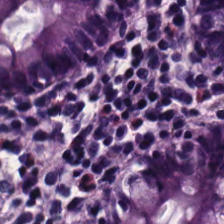The tissue class is benign colonic mucosa.
